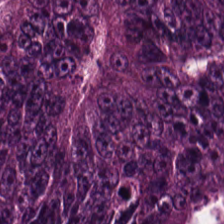Hematoxylin and eosin. 20× equivalent magnification. Finding → tumor epithelium.
